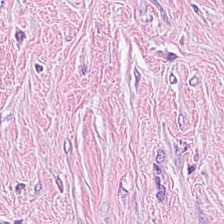The predominant tissue is cancer-associated stroma.
